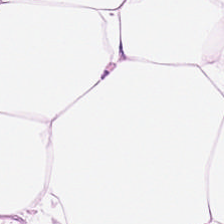Brightfield; 0.5 µm/px; hematoxylin and eosin — Predominantly adipose.
